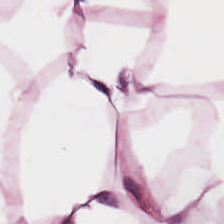0.5 µm/px · hematoxylin and eosin — This field is fat tissue.
